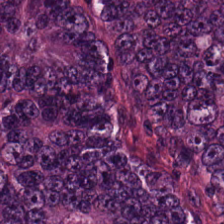Hematoxylin-and-eosin stained section; FFPE tissue section — Impression → colorectal adenocarcinoma.
